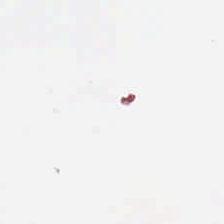Formalin-fixed paraffin-embedded section. Hematoxylin-and-eosin stained section — Background — no tissue in this field.
